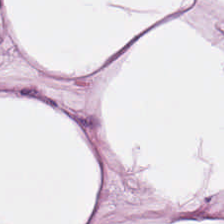Whole-slide-image patch · H&E stain.
Q: What tissue is shown?
A: This is adipose.
